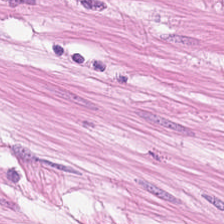H&E. FFPE. 224×224 pixel tile — Predominantly smooth-muscle tissue.
